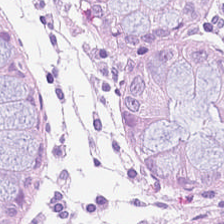FFPE tissue section · H&E-stained tissue section · brightfield — Tissue type: non-neoplastic colon mucosa.
